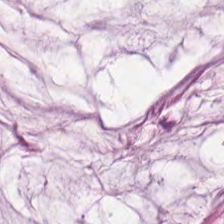H&E. Q: What is the predominant tissue type?
A: This is mucin.
